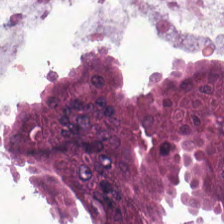H&E stain. Finding → extracellular mucin.
